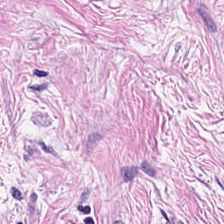H&E. Tissue class — cancer-associated stroma.
